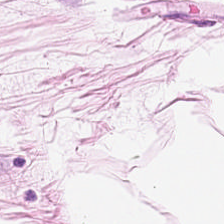H&E. Predominant tissue = adipocytes.
